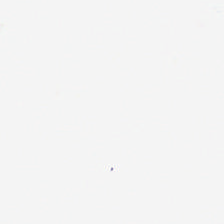This field is background (no tissue).
